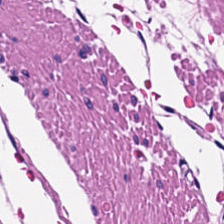H&E-stained tissue section. Finding — muscularis.
